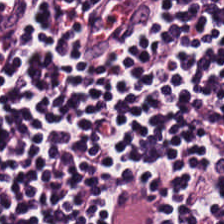224×224 px patch. Hematoxylin and eosin. Brightfield.
Q: What tissue type is shown here?
A: It is lymphoid infiltrate.
